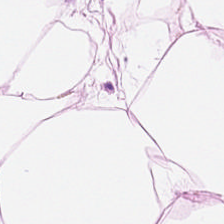Predominantly adipose.
